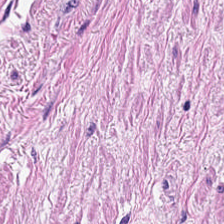FFPE. H&E — This patch shows smooth muscle.
